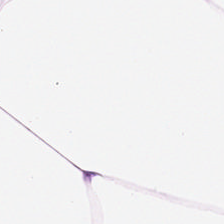224×224 px patch · H&E stain · WSI patch — Tissue — fat tissue.
